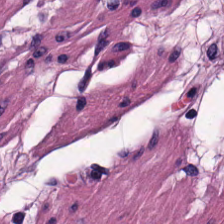H&E stain — Predominant tissue = smooth-muscle tissue.
